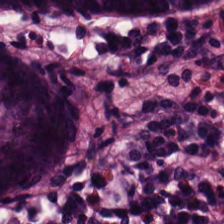H&E.
Q: Classify this patch.
A: The field shows non-neoplastic colon mucosa.
